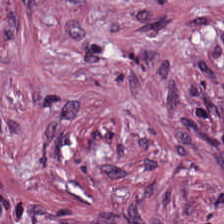FFPE · H&E stain — Impression → cancer-associated stroma.
